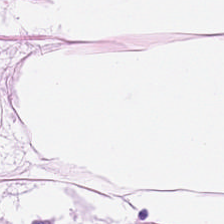Whole-slide-image patch · hematoxylin and eosin · FFPE tissue section — This field is fat tissue.
